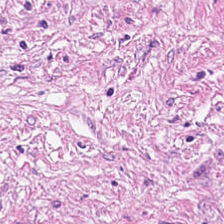Stain: H&E.
Tissue type: desmoplastic stroma.
